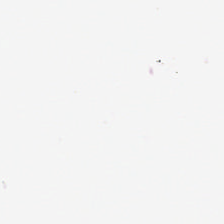0.5 microns per pixel. Hematoxylin and eosin. 224×224 px tile.
This field is background (no tissue).
